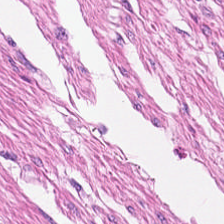0.5 µm per pixel. Hematoxylin and eosin.
Q: What is the predominant tissue type?
A: The field shows smooth-muscle tissue.
